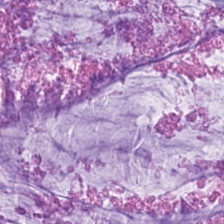Stain: hematoxylin-and-eosin stained section.
Classification: extracellular mucin.
